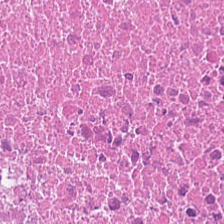FFPE. H&E.
Q: Classify this patch.
A: The field shows cellular debris.
